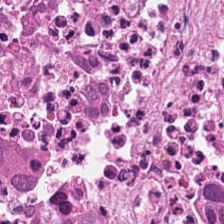Formalin-fixed paraffin-embedded section; H&E-stained tissue section. This field is necrotic debris.
